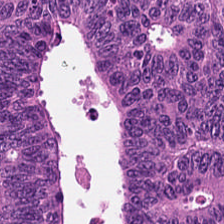Histology → tumor epithelium.
